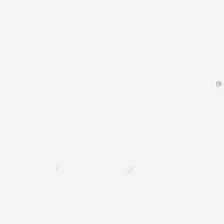Hematoxylin-and-eosin stained section. Field content = background.
